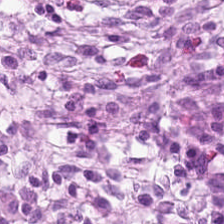Hematoxylin-and-eosin stained section. Tissue — benign colonic mucosa.
